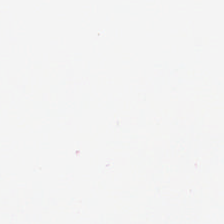0.5 microns per pixel; H&E.
Finding → background (no tissue).
